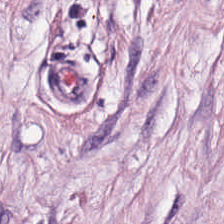Predominant tissue = tumor stroma.
